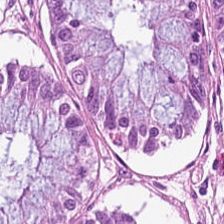H&E.
Impression — normal colonic mucosa.
